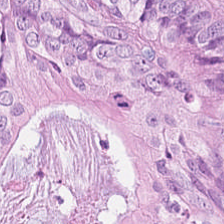H&E-stained tissue section — {"tissue_type": "colorectal adenocarcinoma epithelium"}
